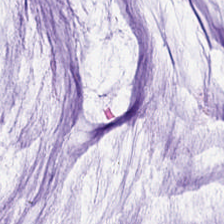Hematoxylin-and-eosin stained section.
Q: What is shown here?
A: This is mucin.
